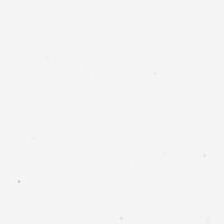Formalin-fixed paraffin-embedded section · 20× equivalent magnification · H&E — Impression — background.
